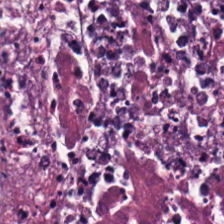Predominantly cellular debris.
